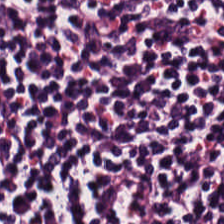Impression — lymphoid infiltrate.
